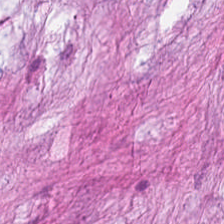Stain: H&E.
Acquisition: whole-slide-image patch.
Tissue class: tumor stroma.
